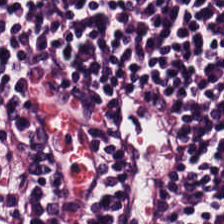H&E-stained tissue section — The predominant tissue is lymphocytes.
